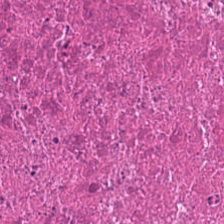H&E stain. Brightfield microscopy — The predominant tissue is cellular debris.
